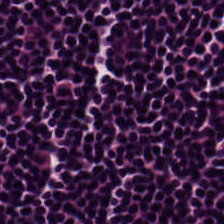0.5 µm/px · whole-slide-image patch · H&E stain. The tissue here is lymphocytes.
